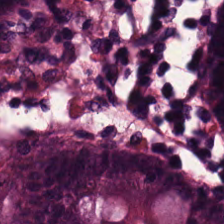224×224 px patch · hematoxylin and eosin — The predominant tissue is normal colon mucosa.
